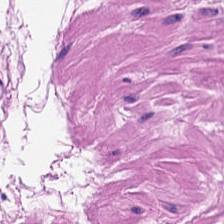0.5 µm/px; 224×224 pixel tile; hematoxylin and eosin.
This field is smooth-muscle tissue.
